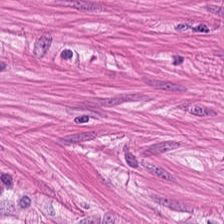H&E — muscularis.
